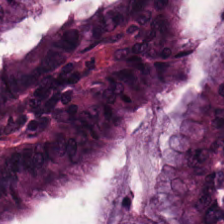H&E-stained tissue section — This patch shows tumor epithelium.
